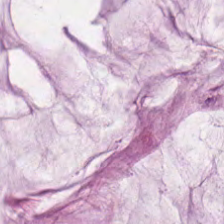Q: What is shown in this field?
A: This is mucus.
